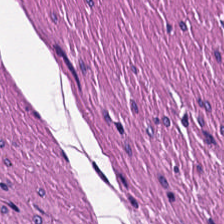Brightfield · hematoxylin and eosin. Classification — muscularis.
